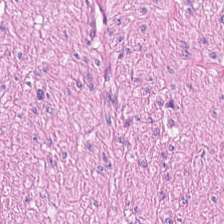H&E-stained tissue section; 0.5 µm per pixel — Q: What does this patch show?
A: The field shows smooth muscle.
